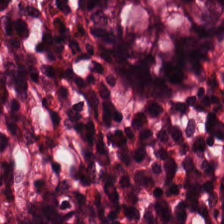Tissue type: normal colon mucosa.
